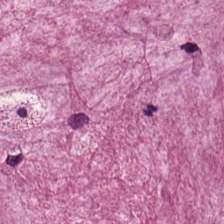FFPE · 0.5 µm/px · hematoxylin and eosin.
Predominant tissue: mucin.
